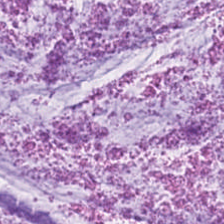Hematoxylin-and-eosin stained section. WSI patch. Formalin-fixed paraffin-embedded section.
Q: What type of tissue is this?
A: This is extracellular mucin.
